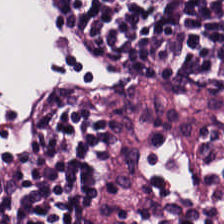H&E-stained tissue section.
This field is lymphoid infiltrate.
